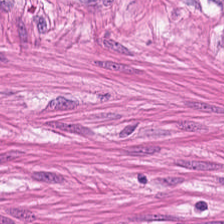H&E stain; brightfield microscopy. Impression — smooth muscle.
